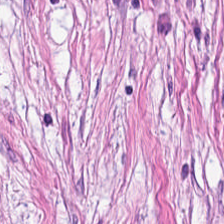H&E-stained tissue section — This patch shows tumor-associated stroma.
